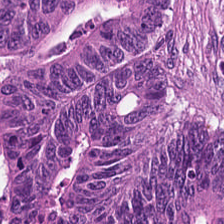Tissue type: tumor epithelium.
